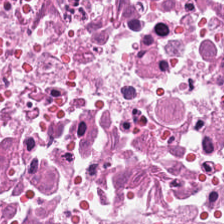224×224 pixel tile · FFPE · H&E stain — Tissue class: debris.
